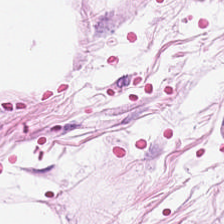0.5 microns per pixel · hematoxylin-and-eosin stained section — Impression — adipose.
